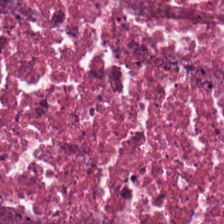FFPE. H&E-stained tissue section — Predominant tissue — cellular debris.
